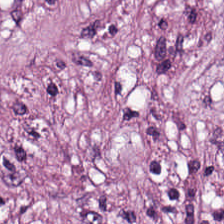Desmoplastic stroma.
